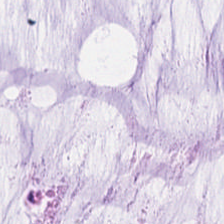Histology → mucin.
